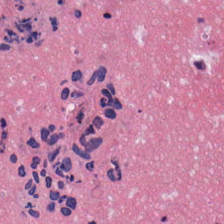H&E-stained tissue section. Impression → necrotic debris.
